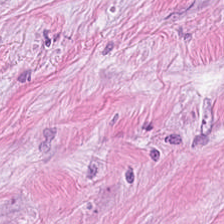Hematoxylin and eosin. {"tissue_type": "desmoplastic stroma"}
